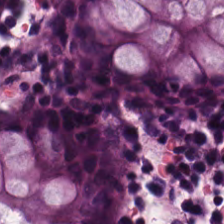H&E stain — Histology → benign colonic mucosa.
